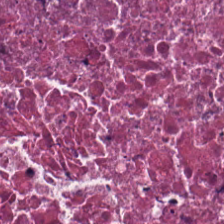224×224 pixel tile · hematoxylin and eosin · FFPE.
This field is necrotic debris.
